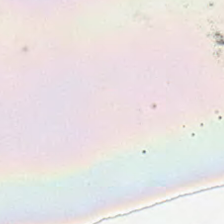Hematoxylin-and-eosin stained section · whole-slide-image patch. Field content = background.
